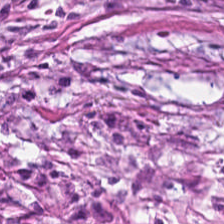224×224 pixel tile · FFPE tissue section · hematoxylin and eosin. This field is cancer-associated stroma.
